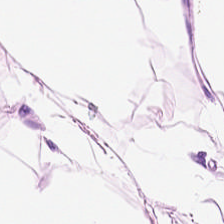The tissue is fat tissue.
